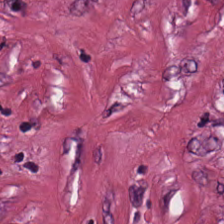Predominantly desmoplastic stroma.
